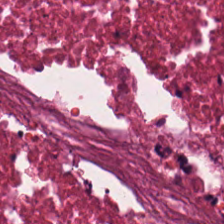Stain: hematoxylin-and-eosin stained section.
Tissue type: necrotic debris.
